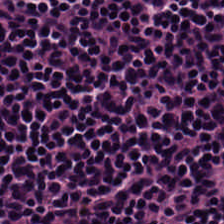H&E stain. Formalin-fixed paraffin-embedded section.
The tissue here is lymphocytic infiltrate.
